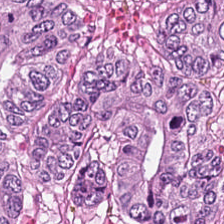Hematoxylin and eosin · brightfield microscopy · formalin-fixed paraffin-embedded section.
Classification = malignant epithelium.
